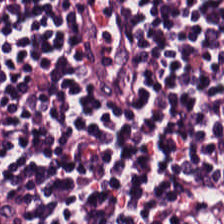Tissue class: lymphocyte aggregate.
